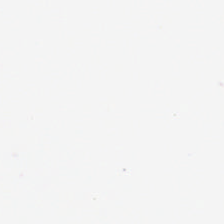Hematoxylin-and-eosin stained section. Background — no tissue in this field.
